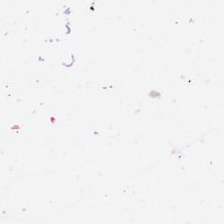0.5 microns per pixel. H&E stain.
The classification is no tissue.
